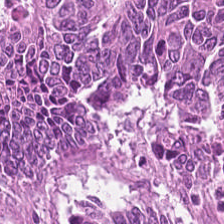Hematoxylin and eosin. Brightfield microscopy. 0.5 microns per pixel. This field is malignant epithelium.
